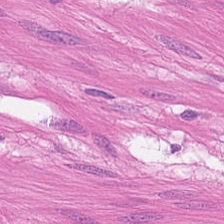H&E-stained tissue section.
This field is smooth muscle.
